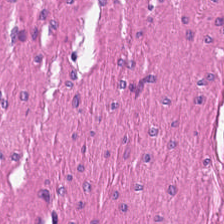H&E stain — Q: What is the predominant tissue type?
A: Smooth-muscle tissue.
